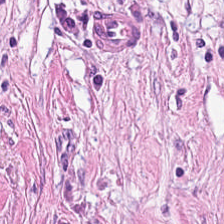224×224 pixel tile · hematoxylin and eosin. Cancer-associated stroma.
